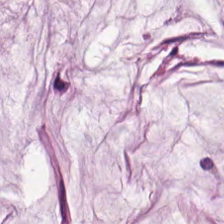Showing mucin.
